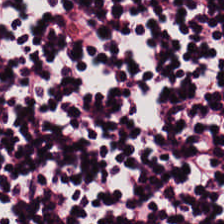H&E-stained tissue section · 224×224 px tile · whole-slide-image patch. The tissue here is lymphocytic infiltrate.
